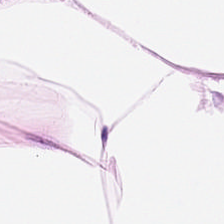H&E-stained tissue section. Formalin-fixed paraffin-embedded section — This patch shows adipocytes.
